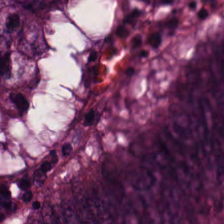Hematoxylin and eosin. WSI patch — Finding — colorectal adenocarcinoma.
